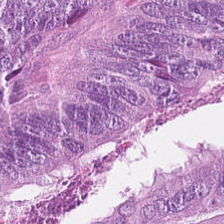Colorectal adenocarcinoma epithelium.
